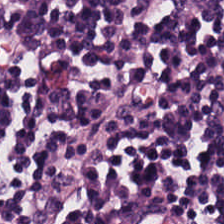H&E-stained tissue section showing lymphocytic infiltrate.
